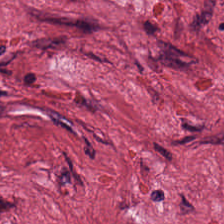H&E-stained tissue section showing tumor stroma.
